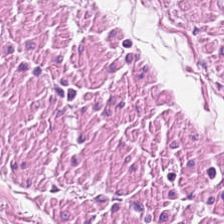H&E; brightfield.
The predominant tissue is muscularis.
